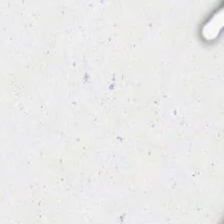0.5 microns per pixel; hematoxylin and eosin.
Classification = background (no tissue).
